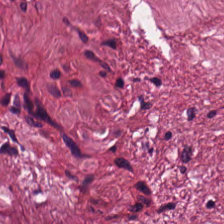Predominantly tumor-associated stroma.
